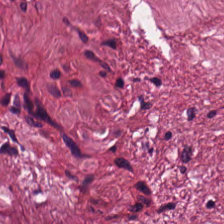Predominantly tumor-associated stroma.
